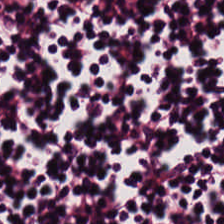Hematoxylin and eosin.
Finding → lymphocytic infiltrate.
